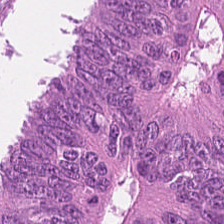H&E; FFPE — This patch shows colorectal adenocarcinoma.
